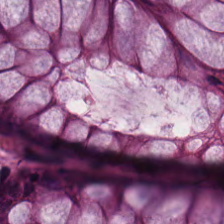H&E. Tissue type = non-neoplastic colon mucosa.
